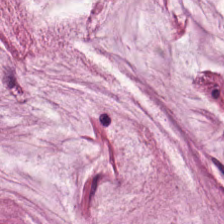20× equivalent magnification; hematoxylin and eosin.
Tissue class: extracellular mucin.
